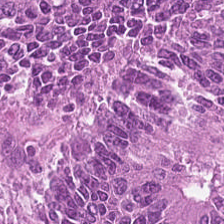Hematoxylin-and-eosin stained section — The tissue class is colorectal adenocarcinoma epithelium.
